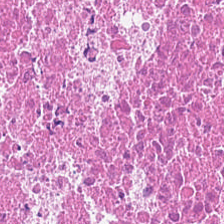FFPE; hematoxylin-and-eosin stained section. The predominant tissue is cellular debris.
